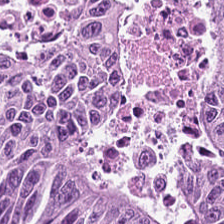Stain: H&E stain.
Resolution: 0.5 µm/px.
Acquisition: whole-slide-image patch.
Predominant tissue: malignant epithelium.
